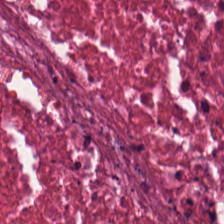H&E; 0.5 µm/px — Q: What is shown in this field?
A: Necrotic debris.
